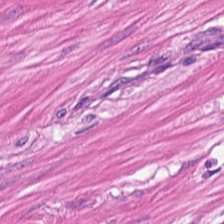Predominant tissue = smooth muscle.
